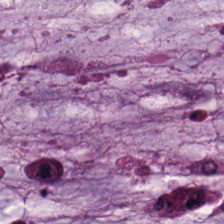{"tissue_type": "mucus"}
